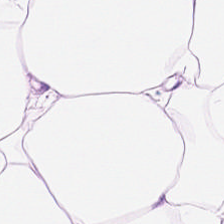Hematoxylin and eosin — The predominant tissue is adipose.
